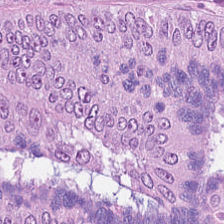Hematoxylin-and-eosin stained section — Showing malignant epithelium.
